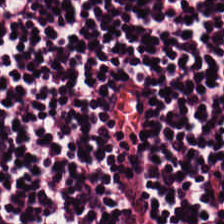Stain: H&E-stained tissue section.
Tissue class: lymphocytes.
